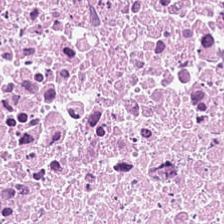H&E stain · FFPE tissue section · 224×224 px patch.
Necrotic debris.
